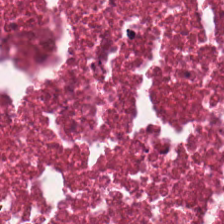H&E-stained tissue section; 0.5 microns per pixel — Predominantly cellular debris.
